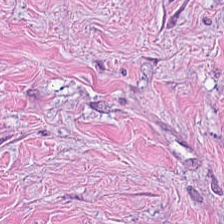Hematoxylin and eosin. 224×224 pixel tile. Impression — tumor-associated stroma.
